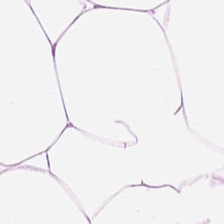Hematoxylin and eosin. This patch shows adipocytes.
